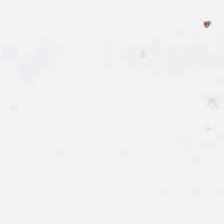Hematoxylin-and-eosin stained section · FFPE tissue section · 224×224 pixel tile — No tissue present; background only.
